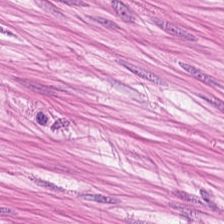Stain: hematoxylin-and-eosin stained section.
Tissue class: smooth muscle.
